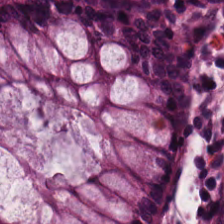H&E · whole-slide-image patch.
Classification: non-neoplastic colon mucosa.
